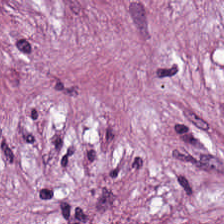Hematoxylin-and-eosin stained section.
Tissue = tumor stroma.
